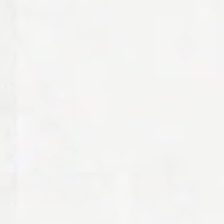Q: What does this patch show?
A: It is background (no tissue).
